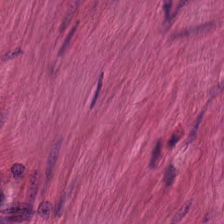Predominantly muscularis.
